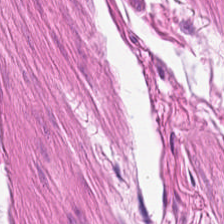H&E stain. 224×224 px tile — The tissue class is muscularis.
